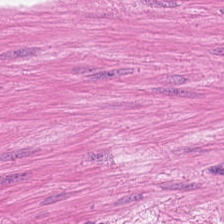FFPE tissue section. Hematoxylin-and-eosin stained section.
This field is smooth muscle.
